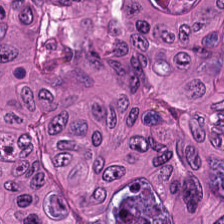H&E stain. Q: What tissue type is shown here?
A: This is tumor epithelium.
